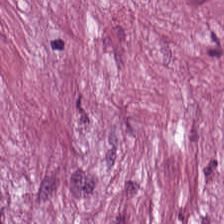0.5 µm per pixel · H&E — Tumor stroma.
